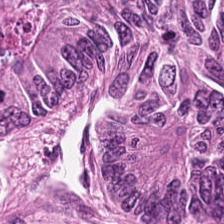H&E. The tissue type is tumor epithelium.
